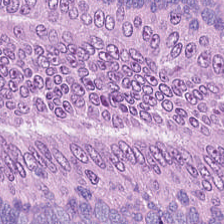Tissue type = adenocarcinoma.
